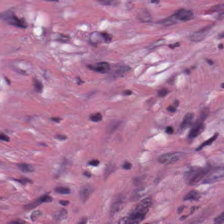Brightfield · H&E-stained tissue section · FFPE tissue section.
Q: Classify this patch.
A: The field shows tumor-associated stroma.
